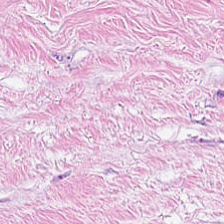Stain: H&E.
Acquisition: brightfield.
Preparation: formalin-fixed paraffin-embedded section.
Tissue class: tumor-associated stroma.
